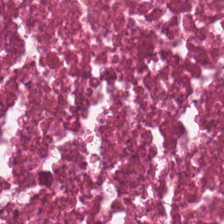224×224 pixel tile. H&E. FFPE. Q: What tissue is shown?
A: It is cellular debris.
